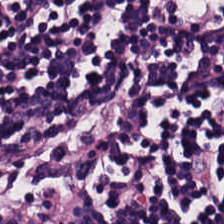H&E — lymphocytic infiltrate.
